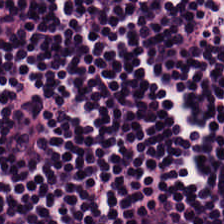Hematoxylin and eosin.
Q: What does this patch show?
A: It is lymphoid infiltrate.
